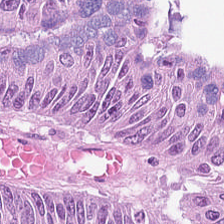Hematoxylin and eosin. FFPE tissue section — Showing tumor epithelium.
